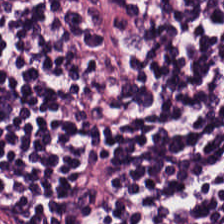H&E.
Q: What is shown in this field?
A: Lymphocyte aggregate.
